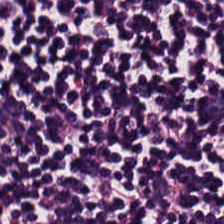Hematoxylin and eosin — This field is lymphocytic infiltrate.
